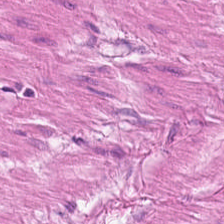Histology — muscularis.
